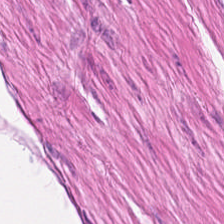H&E.
Classification — muscularis.
